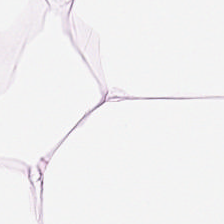0.5 microns per pixel · brightfield · hematoxylin and eosin — Finding — fat tissue.
